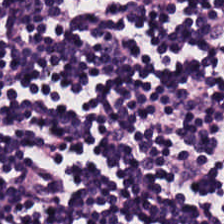H&E-stained tissue section. Tissue class = lymphoid infiltrate.
